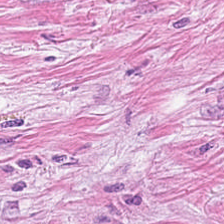Finding → tumor stroma.
